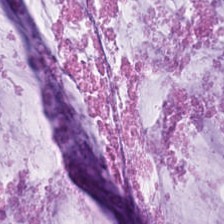224×224 px tile · hematoxylin and eosin.
Q: What is shown here?
A: This is mucus.
